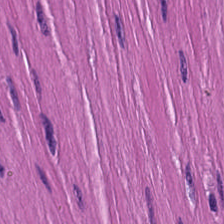Q: What does this patch show?
A: The field shows smooth muscle.
